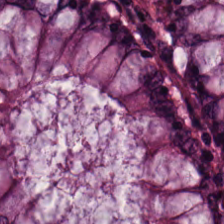Hematoxylin and eosin.
Q: What tissue is shown?
A: Benign colonic mucosa.
